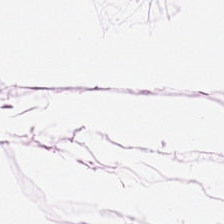Finding — adipocytes.
